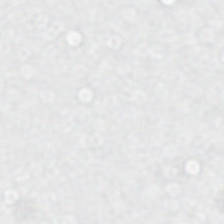20× equivalent magnification; WSI patch; hematoxylin-and-eosin stained section.
{"content": "empty background"}
